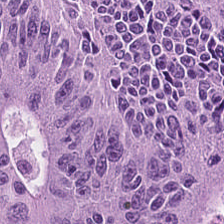H&E. FFPE. This patch shows adenocarcinoma.
